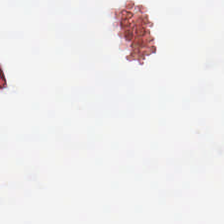H&E-stained tissue section.
Q: What is shown here?
A: This is empty background.
